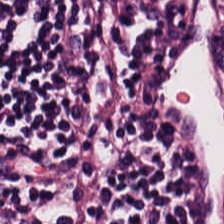Predominant tissue = lymphocytes.
